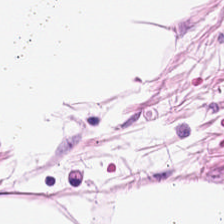Histology — adipocytes.
